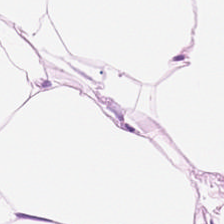H&E stain.
This patch shows adipose.
